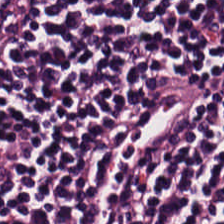Classification — lymphoid infiltrate.
